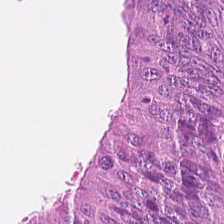H&E-stained tissue section.
Impression — adenocarcinoma.
